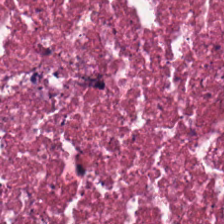Hematoxylin-and-eosin stained section. FFPE tissue section. 0.5 µm/px.
The predominant tissue is necrotic debris.
